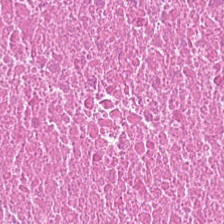224×224 px tile · H&E stain — This field is debris.
